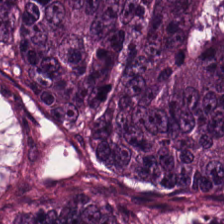Classification — tumor epithelium.
